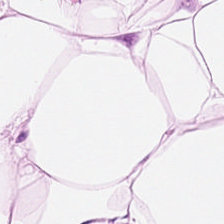H&E stain. Fat tissue.
